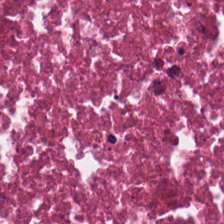The predominant tissue is cellular debris.
